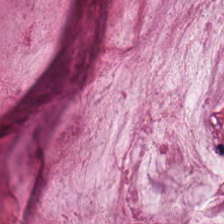224×224 px tile. WSI patch. Hematoxylin and eosin.
Tissue class: extracellular mucin.
